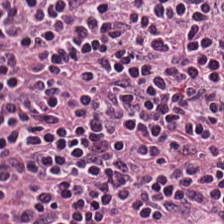H&E-stained tissue section showing lymphocyte aggregate.
